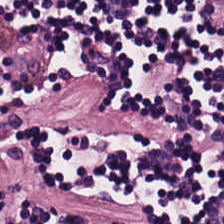Hematoxylin and eosin; 224×224 px patch — Classification: lymphocyte aggregate.
